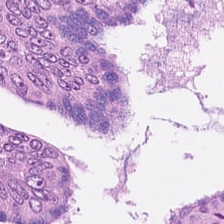H&E stain. Formalin-fixed paraffin-embedded section.
Q: Classify this patch.
A: This is colorectal adenocarcinoma epithelium.
